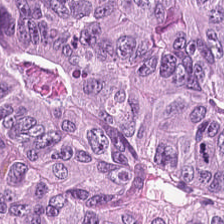{"tissue_type": "adenocarcinoma"}
